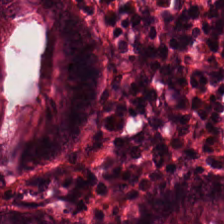H&E stain. Tissue class = normal colon mucosa.
